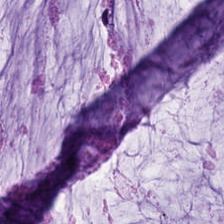Formalin-fixed paraffin-embedded section · H&E — The predominant tissue is mucus.
